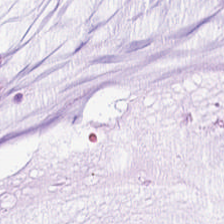Hematoxylin and eosin — Q: What type of tissue is this?
A: It is mucin.
